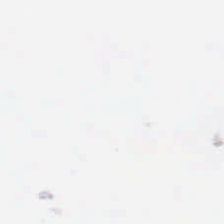WSI patch · H&E stain — This field is background (no tissue).
